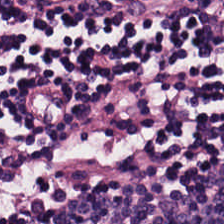Hematoxylin and eosin · formalin-fixed paraffin-embedded section — Tissue class — lymphocytes.
